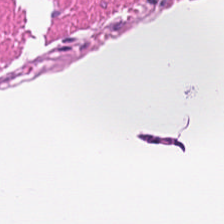0.5 µm/px. Hematoxylin-and-eosin stained section — {"tissue_type": "smooth-muscle tissue"}
